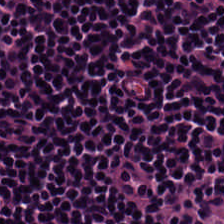H&E-stained tissue section; 0.5 µm/px.
Impression → lymphocytic infiltrate.
